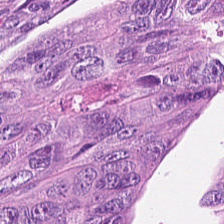H&E-stained section; the field shows adenocarcinoma.
